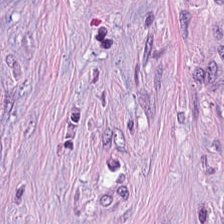Brightfield microscopy; H&E-stained tissue section. Q: What is shown in this field?
A: It is cancer-associated stroma.
